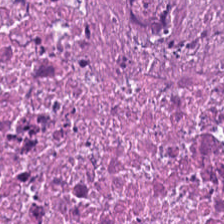Hematoxylin-and-eosin stained section; 224×224 pixel tile — The predominant tissue is cellular debris.
